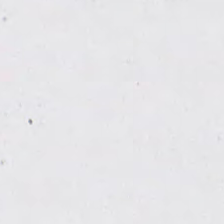H&E stain; formalin-fixed paraffin-embedded section; 0.5 µm per pixel.
Field content = background (no tissue).
